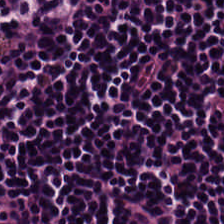WSI patch · hematoxylin and eosin · 0.5 microns per pixel.
Q: What is the predominant tissue type?
A: Lymphocytes.
